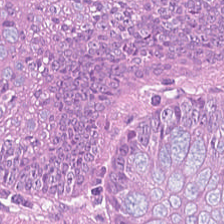FFPE. Hematoxylin and eosin. Adenocarcinoma.
